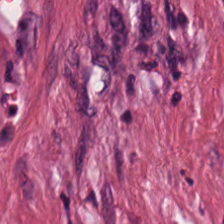Q: What type of tissue is this?
A: This is cancer-associated stroma.
